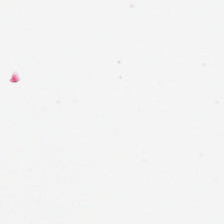Q: What is shown here?
A: No tissue.
